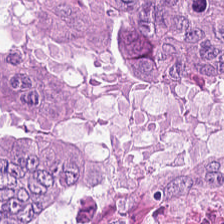H&E-stained section; the field shows colorectal adenocarcinoma epithelium.
